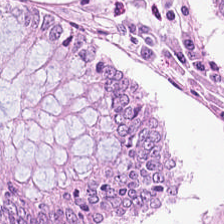Stain: H&E-stained tissue section.
Predominant tissue: benign colonic mucosa.
